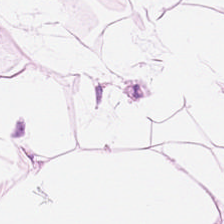H&E-stained tissue section — Q: Classify this patch.
A: Fat tissue.
